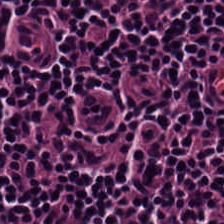Brightfield · hematoxylin-and-eosin stained section. This field is lymphoid infiltrate.
